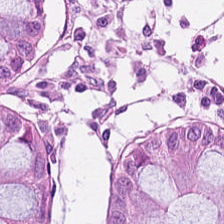H&E; brightfield. The tissue type is normal colon mucosa.
